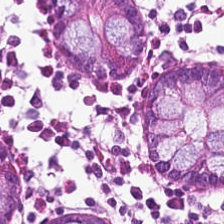FFPE tissue section · H&E stain · 224×224 px tile — Q: What tissue type is shown here?
A: Non-neoplastic colon mucosa.
